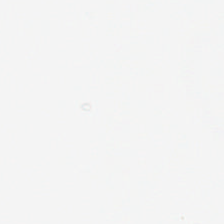H&E stain.
Q: What does this patch show?
A: It is empty background.
